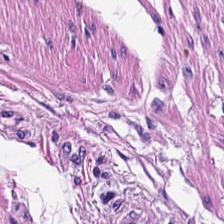H&E-stained section; the field shows smooth-muscle tissue.
